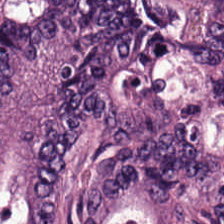0.5 µm/px. Hematoxylin-and-eosin stained section. Finding → colorectal adenocarcinoma epithelium.
